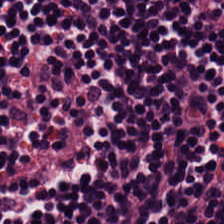Q: Identify the tissue.
A: The field shows lymphocytic infiltrate.
